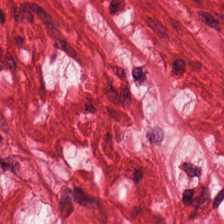Hematoxylin and eosin; WSI patch; 224×224 px patch — Q: What tissue type is shown here?
A: It is smooth muscle.
